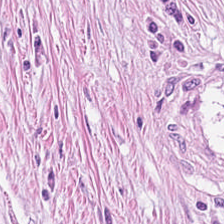224×224 px tile · 20× equivalent magnification · hematoxylin and eosin. Tissue type = cancer-associated stroma.
